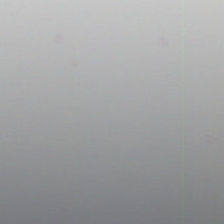Classification = empty background.
